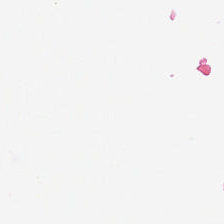FFPE; H&E. Q: Classify this patch.
A: It is no tissue.
